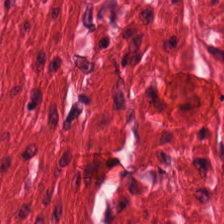The tissue class is smooth-muscle tissue.
